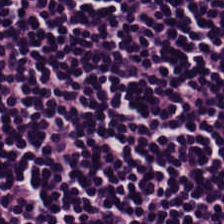This field is lymphocytic infiltrate.
